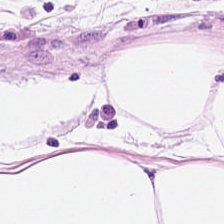Tissue class = adipose tissue.
